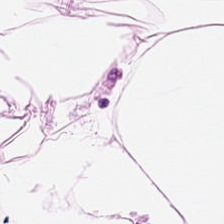Brightfield. H&E-stained tissue section. This patch shows adipocytes.
